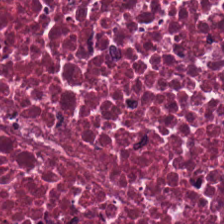Hematoxylin-and-eosin stained section — The classification is debris.
